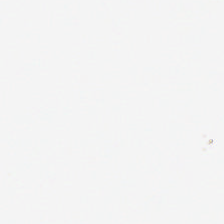Hematoxylin-and-eosin stained section.
No tissue present; background only.
